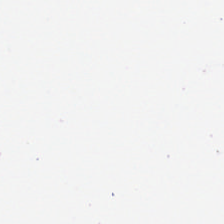H&E stain — Q: What does this patch show?
A: The field shows background (no tissue).
